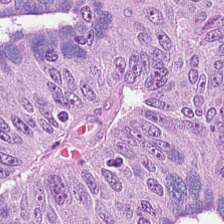H&E stain. Q: Identify the tissue.
A: Colorectal adenocarcinoma.
